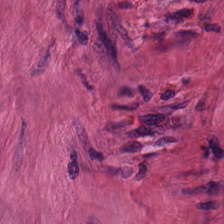Hematoxylin and eosin. Tissue: smooth muscle.
